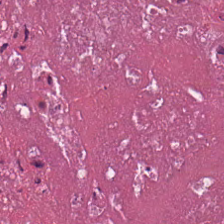0.5 µm per pixel · 224×224 pixel tile · H&E stain — Cellular debris.
